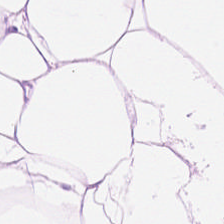H&E stain — Q: What does this patch show?
A: This is adipocytes.
